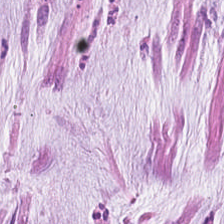Hematoxylin-and-eosin stained section.
Predominant tissue: mucin.
